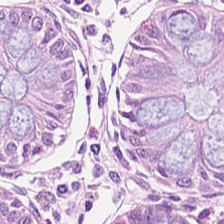224×224 px patch. H&E stain.
Non-neoplastic colon mucosa.
